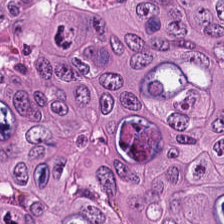H&E stain; FFPE tissue section.
Predominant tissue = colorectal adenocarcinoma.
